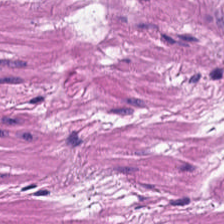Brightfield; H&E stain. {"tissue_type": "smooth-muscle tissue"}
